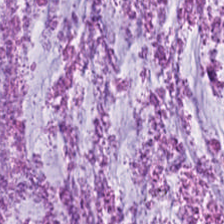Classification: mucus.
